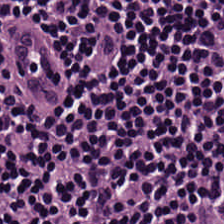H&E-stained section; the field shows lymphoid infiltrate.
